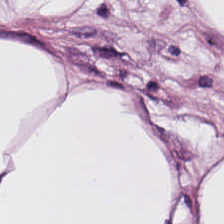H&E stain.
Q: What type of tissue is this?
A: It is fat tissue.
